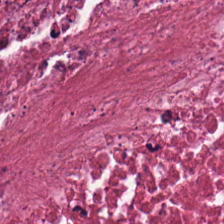Stain: hematoxylin-and-eosin stained section.
Classification: debris.
